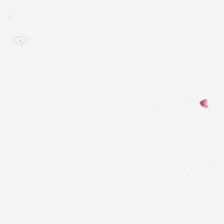WSI patch; H&E-stained tissue section. Q: What is shown in this field?
A: No tissue.
